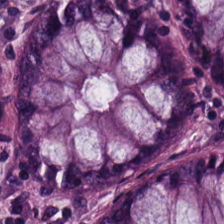Stain: hematoxylin and eosin.
Acquisition: brightfield.
Tile size: 224×224 px tile.
Tissue: benign colonic mucosa.
